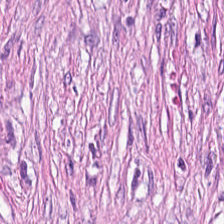Hematoxylin-and-eosin stained section. Tissue: cancer-associated stroma.
